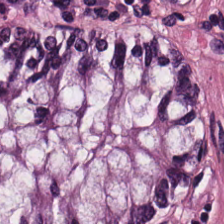WSI patch · hematoxylin and eosin · 224×224 px patch — Impression — normal colonic mucosa.
